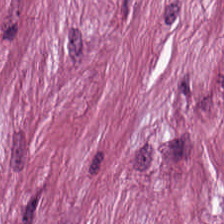Stain: hematoxylin-and-eosin stained section.
Preparation: formalin-fixed paraffin-embedded section.
Classification: cancer-associated stroma.
